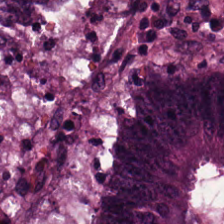Hematoxylin-and-eosin stained section.
Impression → tumor epithelium.
